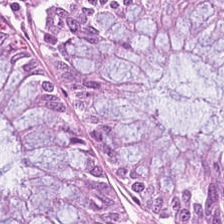Hematoxylin-and-eosin stained section. Q: What tissue type is shown here?
A: The field shows normal colon mucosa.
